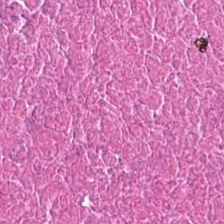Q: What type of tissue is this?
A: This is cellular debris.
